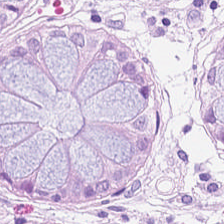Brightfield microscopy · H&E-stained tissue section — Predominantly normal colon mucosa.
